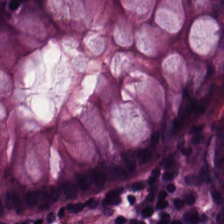H&E stain. FFPE — Benign colonic mucosa.
